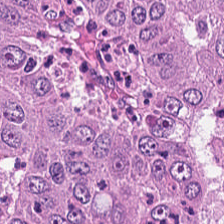H&E-stained tissue section showing adenocarcinoma.
